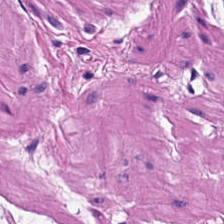H&E — muscularis.
